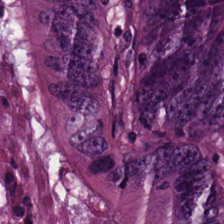H&E-stained tissue section.
Tissue — tumor epithelium.
